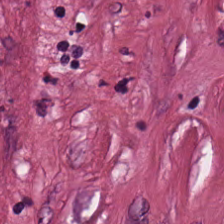Stain: H&E stain.
Tissue class: desmoplastic stroma.
